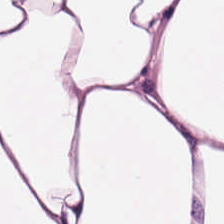Hematoxylin-and-eosin stained section — This field is fat tissue.
